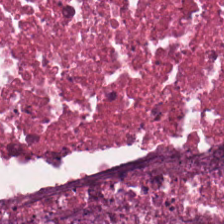H&E stain. Formalin-fixed paraffin-embedded section. 20× equivalent magnification.
Q: What is the predominant tissue type?
A: Necrotic debris.
